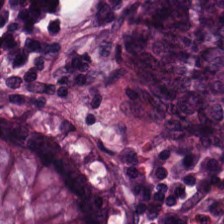Showing normal colon mucosa.
